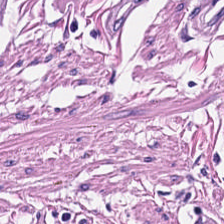H&E · 224×224 pixel tile — Predominantly smooth muscle.
